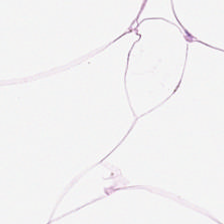H&E stain — This patch shows fat tissue.
